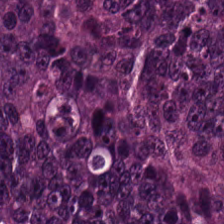H&E-stained tissue section.
Tissue class: malignant epithelium.
